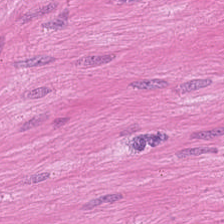H&E stain. 0.5 µm/px. FFPE.
Q: What is the predominant tissue type?
A: Smooth-muscle tissue.
